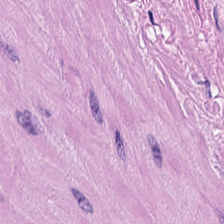Hematoxylin and eosin. Tissue type = smooth-muscle tissue.
